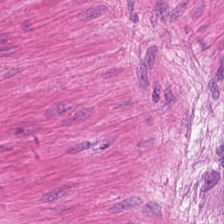0.5 microns per pixel. Hematoxylin-and-eosin stained section. Q: What tissue is shown?
A: This is muscularis.
